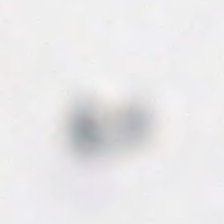Formalin-fixed paraffin-embedded section · 224×224 px patch · hematoxylin and eosin — Field content: background (no tissue).
